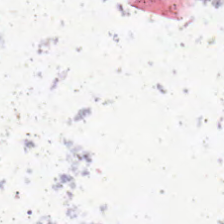H&E stain. FFPE tissue section. Brightfield. Q: What is shown here?
A: The field shows background.
